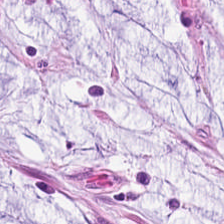H&E.
The predominant tissue is extracellular mucin.
